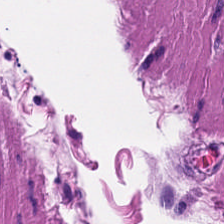H&E-stained tissue section. Predominant tissue: muscularis.
